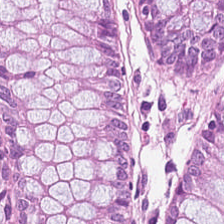H&E stain.
Q: What is shown in this field?
A: It is normal colonic mucosa.
